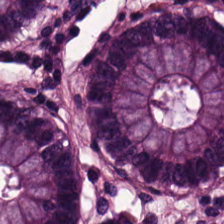{"tissue_type": "normal colon mucosa"}
